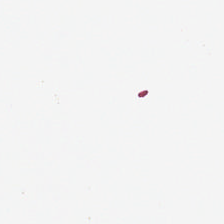WSI patch; 224×224 pixel tile; hematoxylin and eosin.
This field is background (no tissue).
